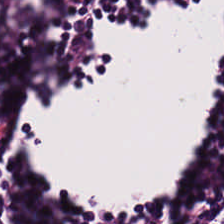224×224 px tile; hematoxylin-and-eosin stained section — The predominant tissue is lymphoid infiltrate.
